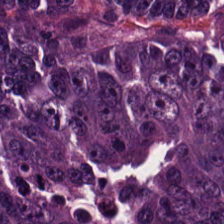Hematoxylin and eosin — Q: What is shown here?
A: This is adenocarcinoma.
